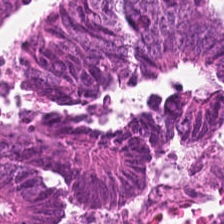Formalin-fixed paraffin-embedded section; H&E stain — Q: What is shown in this field?
A: This is adenocarcinoma.
